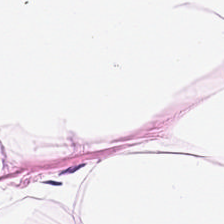H&E-stained tissue section.
Q: What does this patch show?
A: This is adipose tissue.
